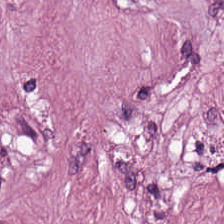Stain: H&E stain.
Tissue: cancer-associated stroma.
